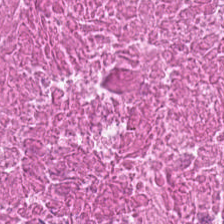0.5 microns per pixel. 224×224 pixel tile. H&E-stained tissue section. The classification is cellular debris.
